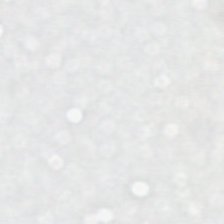Formalin-fixed paraffin-embedded section · H&E stain.
Empty field — background.
